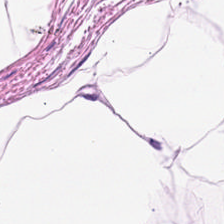H&E-stained tissue section.
Q: What is shown here?
A: Adipocytes.
